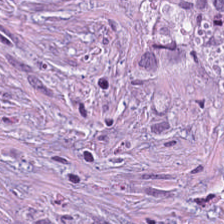Whole-slide-image patch. H&E. Tissue type = tumor stroma.
